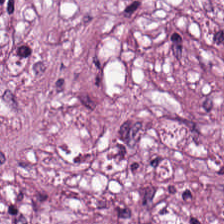0.5 microns per pixel · hematoxylin and eosin.
This field is tumor-associated stroma.
